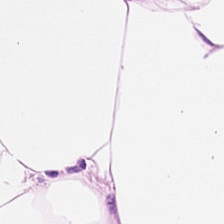Hematoxylin-and-eosin stained section; whole-slide-image patch — Tissue — adipocytes.
